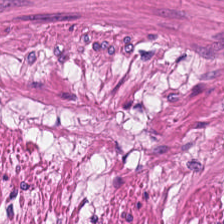Stain: H&E stain.
Tile size: 224×224 px tile.
Classification: smooth muscle.
